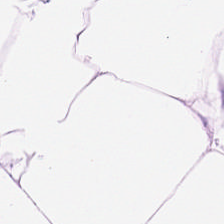H&E-stained tissue section showing adipocytes.
